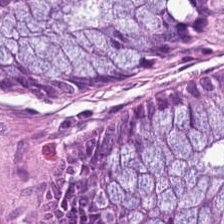FFPE tissue section · H&E stain — Q: What tissue type is shown here?
A: This is benign colonic mucosa.
